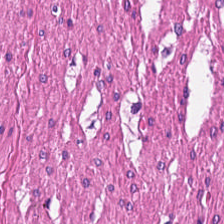H&E stain; brightfield microscopy. Q: What tissue type is shown here?
A: The field shows smooth muscle.
